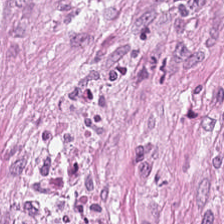H&E-stained tissue section.
The tissue here is tumor stroma.
